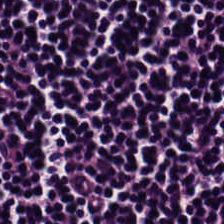H&E.
The tissue here is lymphocyte aggregate.
